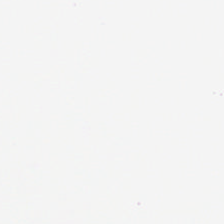H&E stain. Field content: background (no tissue).
